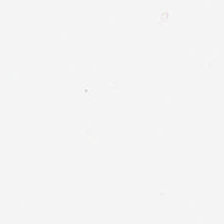0.5 µm per pixel. Hematoxylin-and-eosin stained section. 224×224 px tile.
Content = no tissue.
